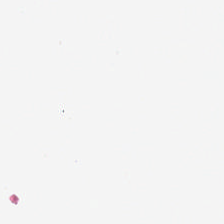This field is background (no tissue).
